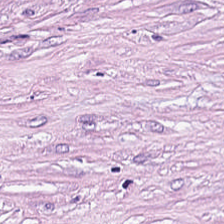Histology → cancer-associated stroma.
